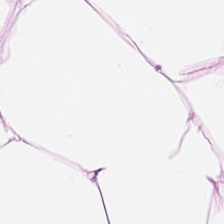224×224 px patch · 20× equivalent magnification · H&E-stained tissue section.
Q: What is the predominant tissue type?
A: The field shows adipose.
